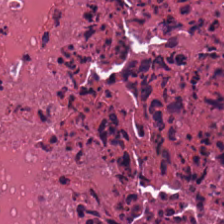H&E. Tissue class = debris.
